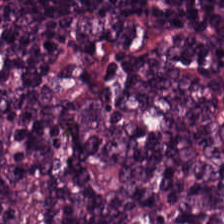H&E stain · FFPE. The predominant tissue is lymphoid infiltrate.
